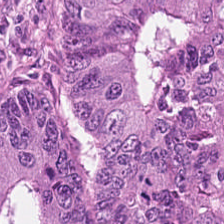Hematoxylin and eosin · FFPE · 20× equivalent magnification — Impression — adenocarcinoma.
